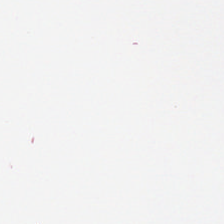Field content = background.
